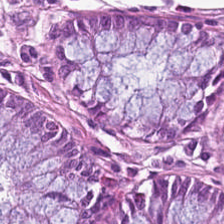The tissue here is normal colonic mucosa.
